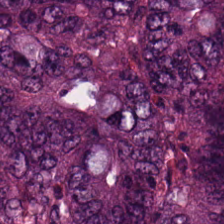Hematoxylin-and-eosin stained section · 224×224 px patch — The predominant tissue is tumor epithelium.
